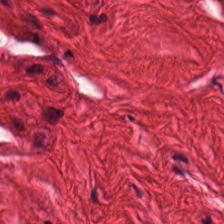Hematoxylin and eosin; whole-slide-image patch; FFPE tissue section. Q: What is the predominant tissue type?
A: This is muscularis.
